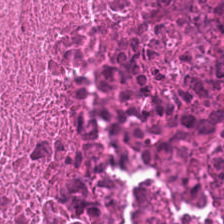H&E-stained tissue section — Classification = debris.
